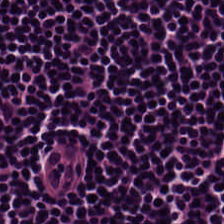H&E-stained tissue section. FFPE. Classification: lymphoid infiltrate.
